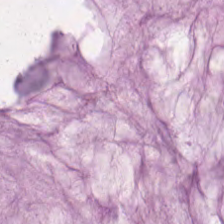Hematoxylin-and-eosin stained section.
{"tissue_type": "mucin"}
